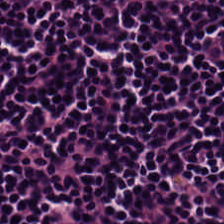0.5 µm/px. Hematoxylin and eosin. FFPE tissue section. The predominant tissue is lymphoid infiltrate.
